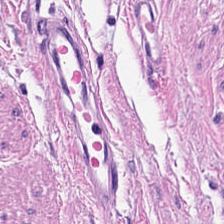224×224 pixel tile. H&E-stained tissue section.
Q: What is shown here?
A: The field shows smooth muscle.
